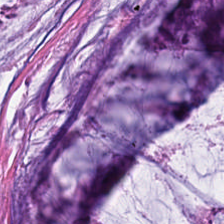Stain: hematoxylin and eosin.
Tissue: mucin.
